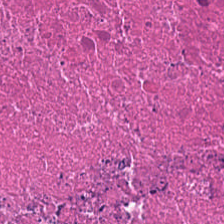Hematoxylin-and-eosin stained section — This field is necrotic debris.
